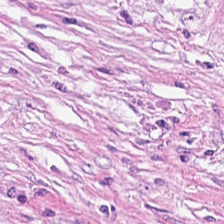H&E stain · FFPE · brightfield microscopy — The tissue here is desmoplastic stroma.
